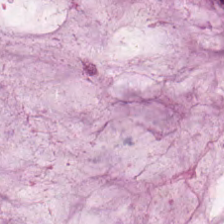Stain: hematoxylin and eosin.
Tissue class: mucus.
